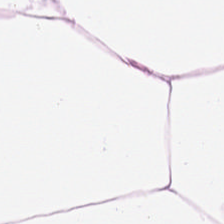H&E.
Finding → adipocytes.
